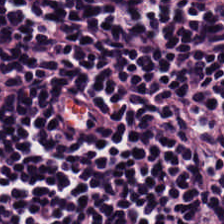{"tissue_type": "lymphocytes"}
